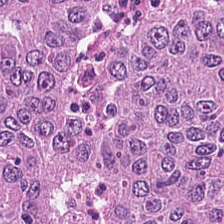Hematoxylin-and-eosin stained section · 20× equivalent magnification.
Colorectal adenocarcinoma.
